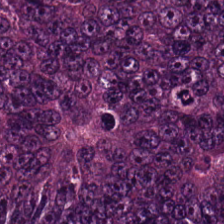Stain: hematoxylin and eosin.
Predominant tissue: colorectal adenocarcinoma.
